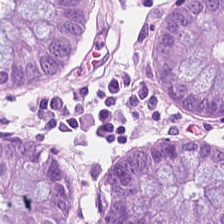The tissue here is non-neoplastic colon mucosa.
